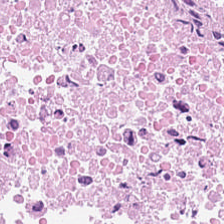Hematoxylin-and-eosin stained section.
Showing debris.
